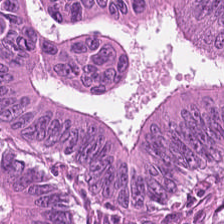H&E stain — Q: What is shown here?
A: This is colorectal adenocarcinoma epithelium.
